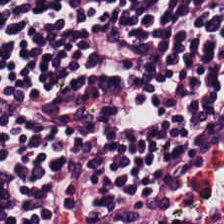20× equivalent magnification · H&E-stained tissue section — The tissue here is lymphocyte aggregate.
